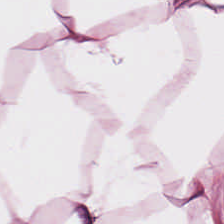H&E. Finding → adipocytes.
